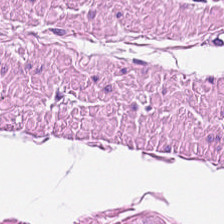0.5 microns per pixel. H&E-stained tissue section. 224×224 px tile.
Q: Identify the tissue.
A: This is smooth-muscle tissue.
